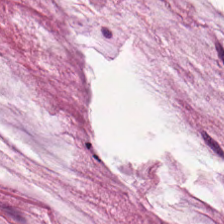H&E.
Tissue type: mucin.
